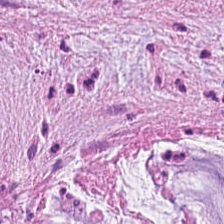Hematoxylin-and-eosin stained section. 20× equivalent magnification.
The predominant tissue is extracellular mucin.
